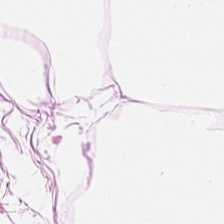Q: Identify the tissue.
A: Adipocytes.
